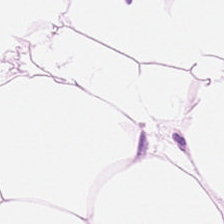Hematoxylin-and-eosin stained section. This field is adipose.
